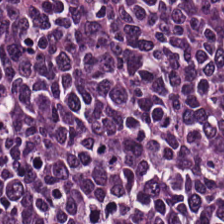Q: Identify the tissue.
A: It is lymphocytic infiltrate.
